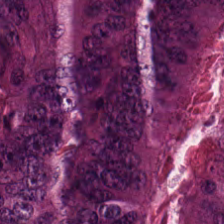H&E. Impression → colorectal adenocarcinoma epithelium.
